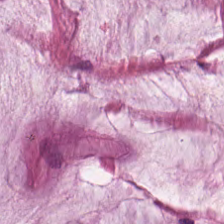H&E stain. Tissue type — mucus.
